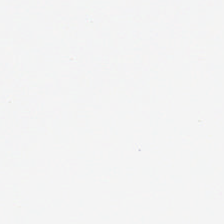Stain: hematoxylin-and-eosin stained section.
Field content: background (no tissue).
